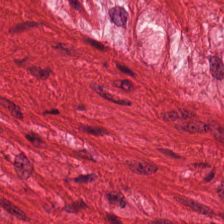224×224 px patch · H&E stain — Tissue type = smooth muscle.
